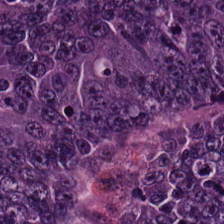FFPE; H&E.
Predominantly colorectal adenocarcinoma.
